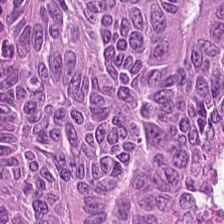WSI patch; hematoxylin-and-eosin stained section; 224×224 px patch.
The predominant tissue is malignant epithelium.
